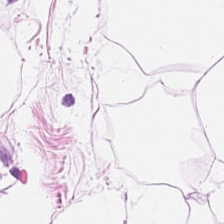WSI patch; H&E-stained tissue section. Q: What is the predominant tissue type?
A: Adipose tissue.
